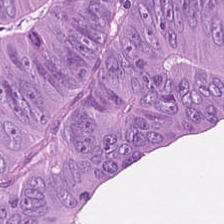H&E stain.
Q: What type of tissue is this?
A: The field shows malignant epithelium.
